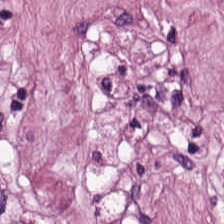Classification — tumor stroma.
